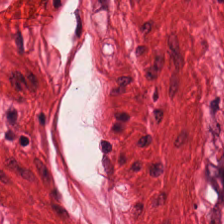Histology → smooth muscle.
